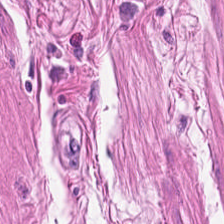0.5 µm/px · H&E stain · brightfield microscopy. Classification = smooth muscle.
